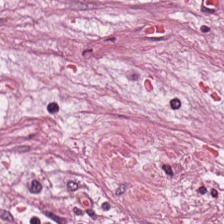0.5 µm/px. Hematoxylin and eosin. Formalin-fixed paraffin-embedded section — Predominant tissue — tumor stroma.
